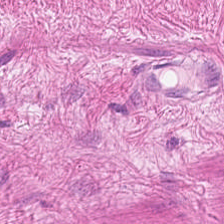Q: What is shown here?
A: Smooth-muscle tissue.
